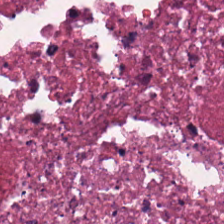The tissue here is necrotic debris.
